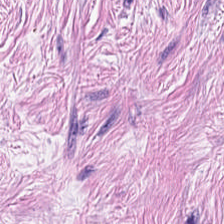Hematoxylin-and-eosin stained section — This patch shows tumor-associated stroma.
